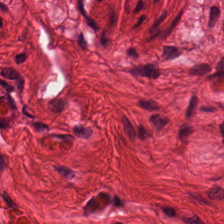Hematoxylin-and-eosin stained section — Tissue type = muscularis.
